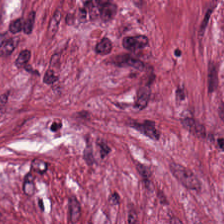Stain: H&E-stained tissue section.
Tissue type: tumor stroma.
